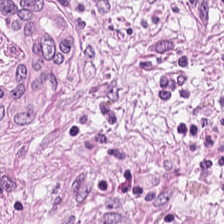H&E · 0.5 µm/px. Tissue class = tumor-associated stroma.
